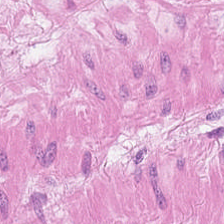Q: What is shown here?
A: Smooth-muscle tissue.
